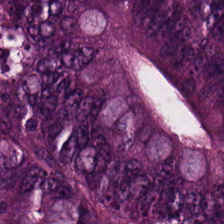Predominant tissue — colorectal adenocarcinoma.
